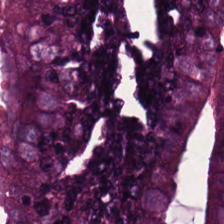Stain: hematoxylin-and-eosin stained section.
Predominant tissue: adenocarcinoma.
